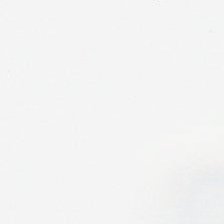Hematoxylin-and-eosin stained section — No tissue present; background only.
